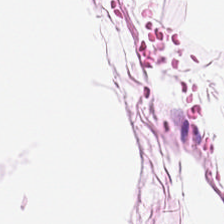Hematoxylin and eosin; FFPE. Finding — fat tissue.
